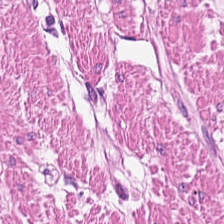Q: What is the predominant tissue type?
A: It is muscularis.
